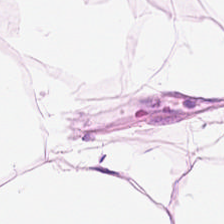224×224 px patch; H&E. Q: What tissue is shown?
A: Fat tissue.
